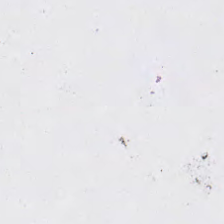H&E stain; 224×224 pixel tile.
Impression → background (no tissue).
